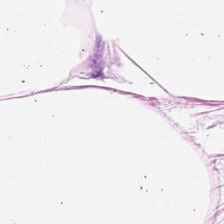20× equivalent magnification. Hematoxylin and eosin. Formalin-fixed paraffin-embedded section — This patch shows adipocytes.
